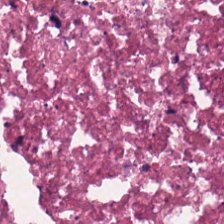WSI patch. H&E stain — Classification — debris.
